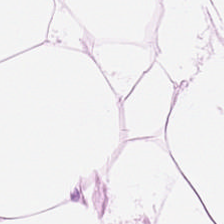Tissue type — adipose tissue.
